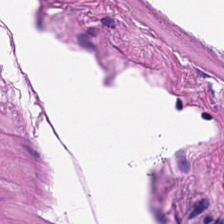H&E-stained tissue section. Showing smooth muscle.
